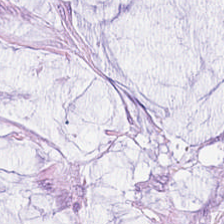Stain: hematoxylin-and-eosin stained section.
Predominant tissue: extracellular mucin.
